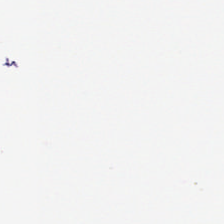0.5 µm per pixel. H&E-stained tissue section — Q: Classify this patch.
A: The field shows background.
